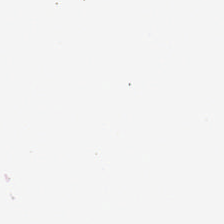H&E-stained tissue section — Empty field — no tissue.
